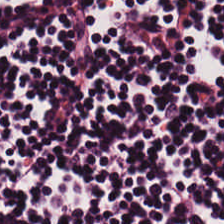The classification is lymphocyte aggregate.
